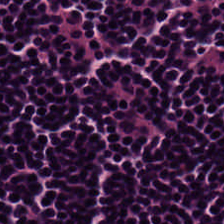Predominant tissue — lymphocytes.
